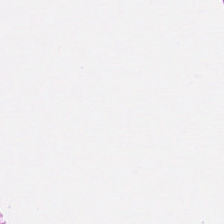Finding — muscularis.
